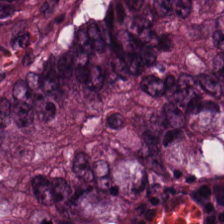The predominant tissue is colorectal adenocarcinoma epithelium.
